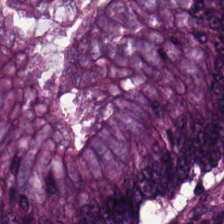This patch shows colorectal adenocarcinoma epithelium.
